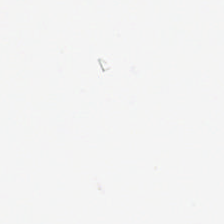0.5 µm per pixel · hematoxylin and eosin — Empty field — no tissue.
